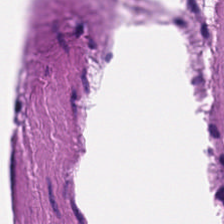H&E-stained tissue section · 224×224 px patch.
This field is smooth muscle.
